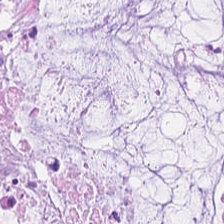Hematoxylin-and-eosin stained section — Finding — extracellular mucin.
